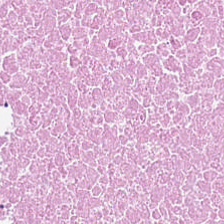FFPE tissue section. H&E-stained tissue section. 20× equivalent magnification.
Tissue — debris.
